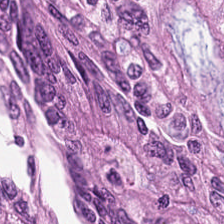Tissue — adenocarcinoma.
